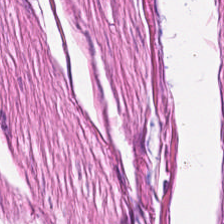H&E. Brightfield microscopy — {"tissue_type": "smooth muscle"}
